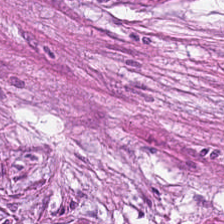H&E patch showing cancer-associated stroma.
